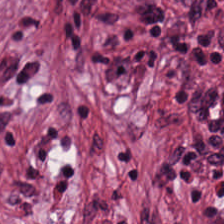Whole-slide-image patch. FFPE tissue section. H&E stain — This field is tumor stroma.
